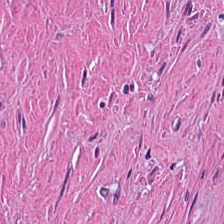0.5 µm/px. 224×224 pixel tile. H&E stain — Tissue class — debris.
